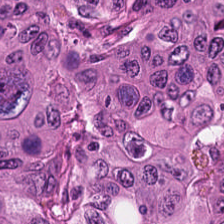H&E-stained tissue section. WSI patch — This patch shows adenocarcinoma.
